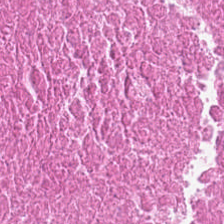H&E stain.
Tissue class: cellular debris.
